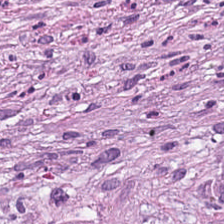Hematoxylin and eosin — Predominantly desmoplastic stroma.
